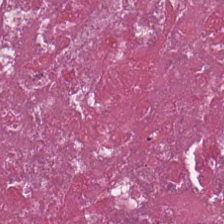H&E patch showing necrotic debris.
